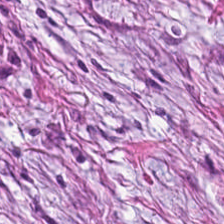H&E stain. Brightfield microscopy. Predominant tissue = tumor-associated stroma.
